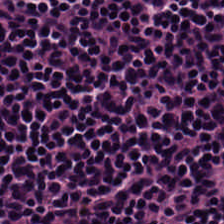Hematoxylin and eosin — Predominant tissue: lymphocytic infiltrate.
